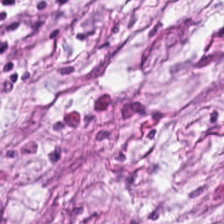Brightfield · H&E-stained tissue section · formalin-fixed paraffin-embedded section. The classification is cancer-associated stroma.
